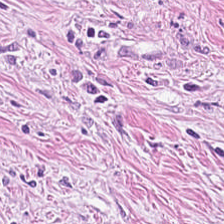H&E · 224×224 pixel tile.
This patch shows tumor-associated stroma.
